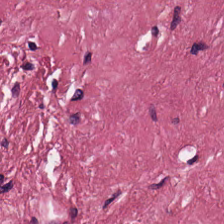20× equivalent magnification; hematoxylin-and-eosin stained section; whole-slide-image patch.
Tissue class = tumor-associated stroma.
